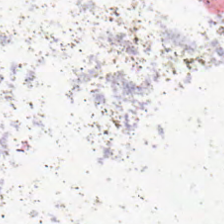Formalin-fixed paraffin-embedded section. H&E stain. Brightfield.
Content: empty background.
